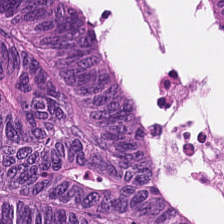Hematoxylin-and-eosin section: colorectal adenocarcinoma.
